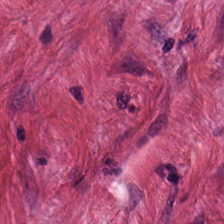H&E-stained tissue section.
This field is tumor-associated stroma.
